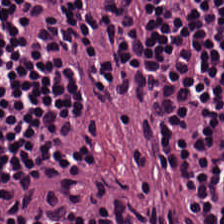Predominantly lymphocytes.
